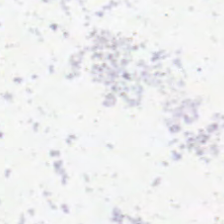H&E-stained tissue section.
Empty field — no tissue.
